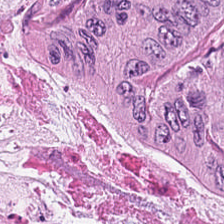224×224 pixel tile; hematoxylin and eosin. This field is colorectal adenocarcinoma epithelium.
